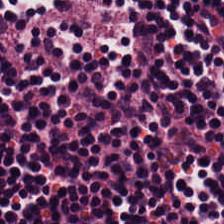Stain: H&E.
Acquisition: WSI patch.
Resolution: 0.5 µm per pixel.
Classification: lymphoid infiltrate.
